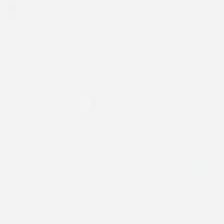Hematoxylin and eosin · WSI patch. This field is background (no tissue).
